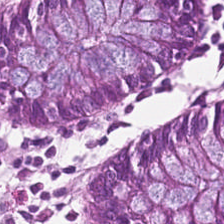H&E stain.
Normal colonic mucosa.
